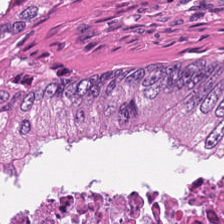Stain: hematoxylin and eosin.
Acquisition: brightfield.
Tile size: 224×224 pixel tile.
Tissue type: necrotic debris.
